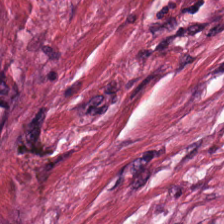Hematoxylin-and-eosin stained section. Tissue class: cancer-associated stroma.
